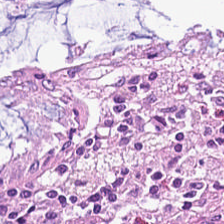Hematoxylin and eosin.
The predominant tissue is benign colonic mucosa.
